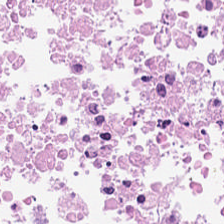Q: What does this patch show?
A: Cellular debris.
